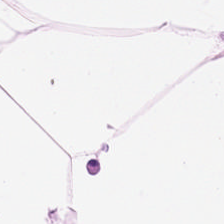H&E stain; 0.5 µm/px; 224×224 pixel tile. Tissue class — adipose tissue.
